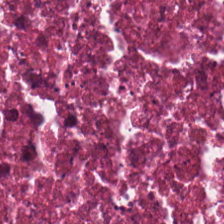Q: What tissue is shown?
A: Necrotic debris.
